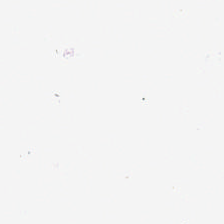The field content is background.
